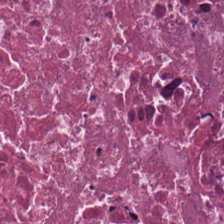Hematoxylin-and-eosin stained section · 20× equivalent magnification. Predominant tissue — cellular debris.
